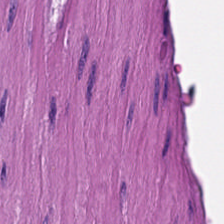Predominant tissue — smooth muscle.
